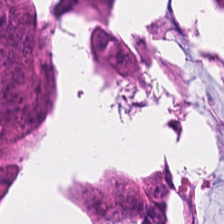H&E-stained tissue section showing colorectal adenocarcinoma.
